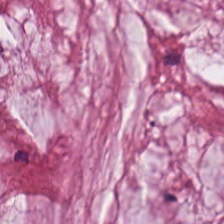Classification = mucin.
